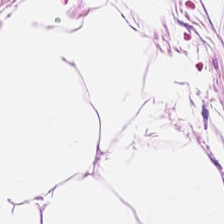Stain: hematoxylin-and-eosin stained section.
Tissue: adipocytes.
